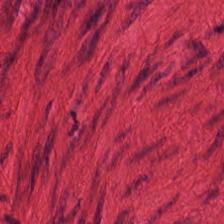Finding — muscularis.
